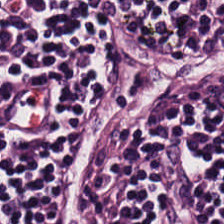Hematoxylin-and-eosin stained section.
Finding — lymphocytic infiltrate.
